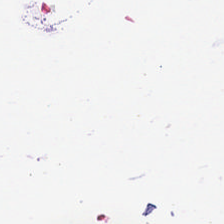Background — no tissue in this field.
